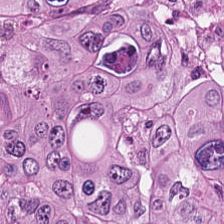Stain: hematoxylin and eosin.
Tissue: adenocarcinoma.
